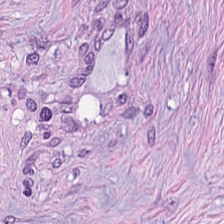H&E stain — Impression → desmoplastic stroma.
